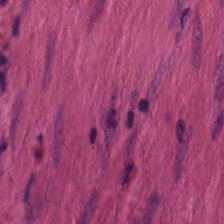Q: What is shown here?
A: It is muscularis.
